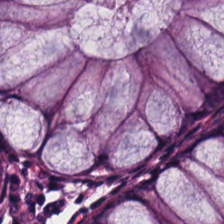H&E. 224×224 px tile — Q: Identify the tissue.
A: This is benign colonic mucosa.
